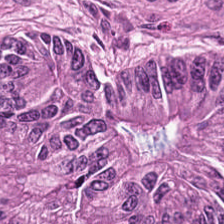H&E-stained tissue section. 224×224 px tile. WSI patch.
Tumor epithelium.
